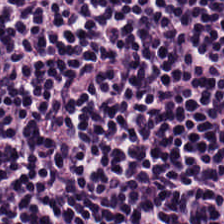Hematoxylin and eosin.
Q: What tissue is shown?
A: This is lymphocytic infiltrate.
